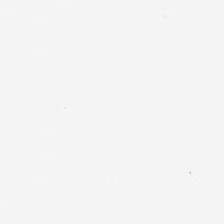Hematoxylin and eosin. FFPE tissue section.
Classification = background.
